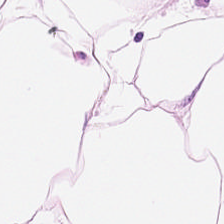{"tissue_type": "adipose"}
